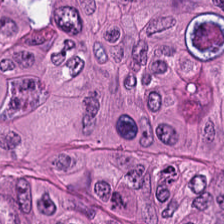H&E stain — The tissue class is colorectal adenocarcinoma.
